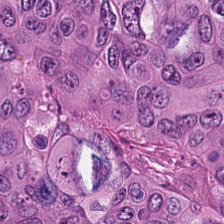Formalin-fixed paraffin-embedded section. Hematoxylin and eosin. 224×224 px patch. The tissue type is colorectal adenocarcinoma epithelium.
